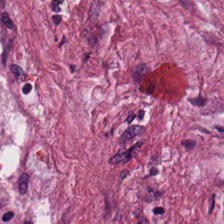H&E-stained tissue section. Showing tumor stroma.
